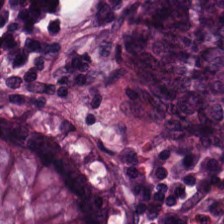H&E stain. FFPE. Brightfield. Impression — normal colonic mucosa.
